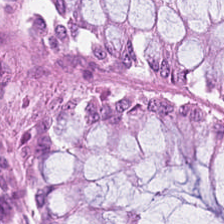Q: What type of tissue is this?
A: The field shows non-neoplastic colon mucosa.
